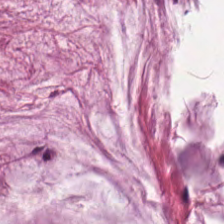Hematoxylin-and-eosin section: extracellular mucin.
